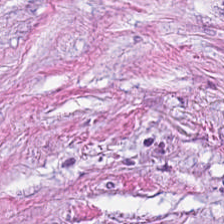224×224 px tile; hematoxylin-and-eosin stained section.
The predominant tissue is tumor-associated stroma.
